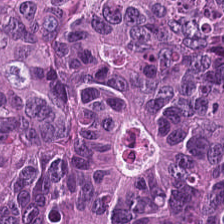Histology → colorectal adenocarcinoma epithelium.
